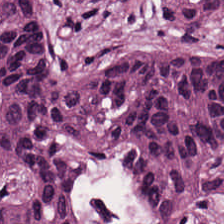Brightfield microscopy. H&E stain. 0.5 µm/px. Q: Identify the tissue.
A: This is colorectal adenocarcinoma epithelium.
